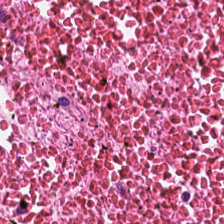Hematoxylin-and-eosin section: debris.
